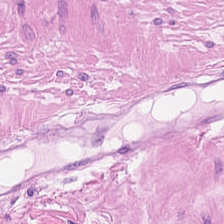Hematoxylin and eosin — The tissue here is muscularis.
